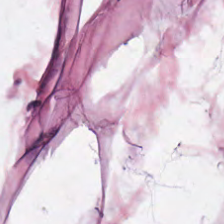224×224 px tile. Hematoxylin-and-eosin stained section. Q: What is shown in this field?
A: It is adipose tissue.
